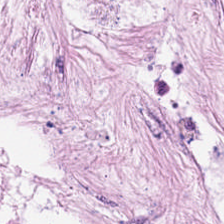Hematoxylin and eosin. Q: What is the predominant tissue type?
A: Tumor stroma.
